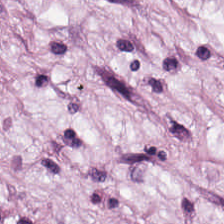The predominant tissue is adipose tissue.
